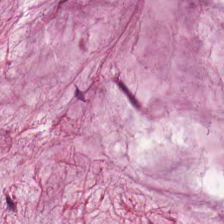Stain: H&E stain.
Predominant tissue: mucin.
